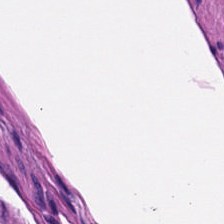Hematoxylin-and-eosin stained section · 0.5 µm per pixel · 224×224 pixel tile. Q: What is shown here?
A: The field shows muscularis.
